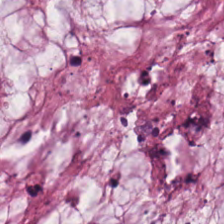Classification — mucus.
